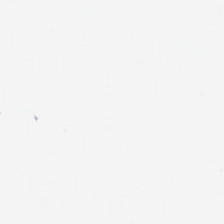H&E-stained tissue section. {"content": "empty background"}
